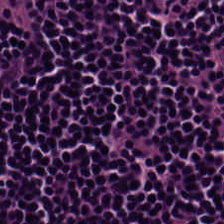H&E-stained tissue section.
This patch shows lymphocytic infiltrate.
